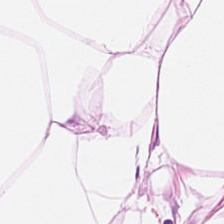H&E-stained tissue section; FFPE. Showing adipose.
